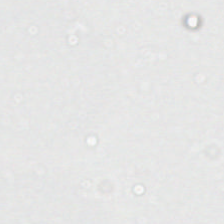Empty field — empty background.
